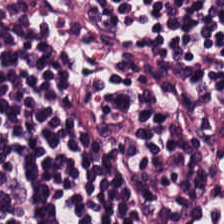Brightfield microscopy; H&E-stained tissue section. Showing lymphocytes.
